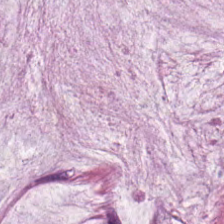Hematoxylin-and-eosin stained section; 224×224 px patch; whole-slide-image patch — The tissue is extracellular mucin.
